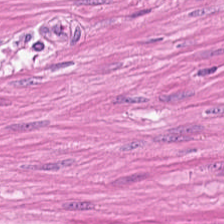H&E; whole-slide-image patch; 0.5 microns per pixel — Tissue: smooth-muscle tissue.
